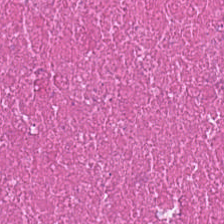Brightfield; 224×224 pixel tile; H&E stain. Necrotic debris.
